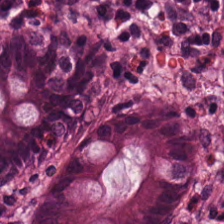H&E stain.
Classification — normal colon mucosa.
